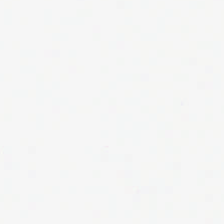H&E stain. Histology → empty background.
